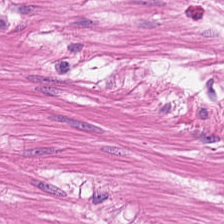Brightfield. Hematoxylin and eosin — Showing smooth-muscle tissue.
